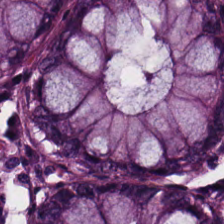Tissue class: benign colonic mucosa.
